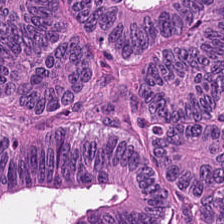Hematoxylin-and-eosin stained section — Q: What is the predominant tissue type?
A: The field shows adenocarcinoma.
